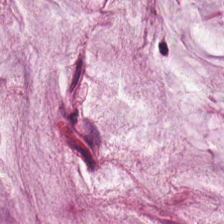Hematoxylin-and-eosin stained section.
The tissue here is mucus.
